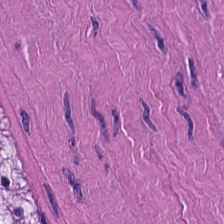H&E-stained tissue section showing smooth muscle.
